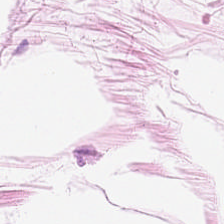Stain: hematoxylin-and-eosin stained section.
Predominant tissue: adipose tissue.
